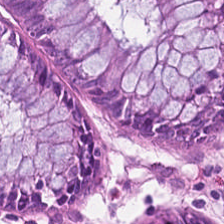Brightfield microscopy. H&E. 0.5 µm per pixel.
Predominantly normal colon mucosa.
